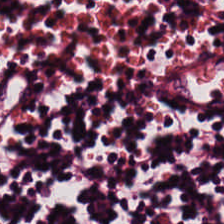H&E · 224×224 px tile. Impression — lymphocytes.
